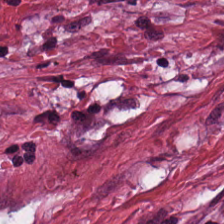H&E stain.
The predominant tissue is cancer-associated stroma.
